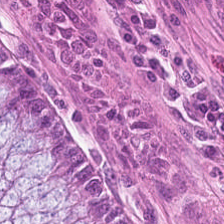Brightfield; H&E. This patch shows normal colon mucosa.
